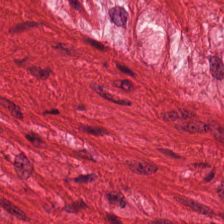Impression → smooth-muscle tissue.
